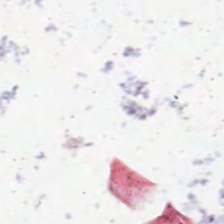WSI patch · H&E — {"content": "no tissue"}
